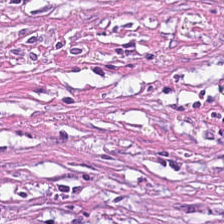Hematoxylin-and-eosin stained section; brightfield microscopy; 224×224 px tile.
Impression — tumor-associated stroma.
